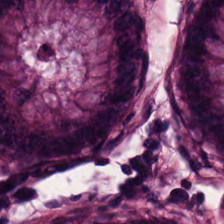H&E stain. Predominantly normal colon mucosa.
